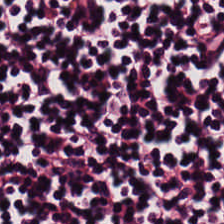224×224 px patch · H&E stain — Classification = lymphocyte aggregate.
